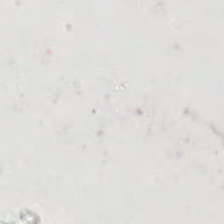Hematoxylin and eosin; 0.5 microns per pixel. This field is background (no tissue).
